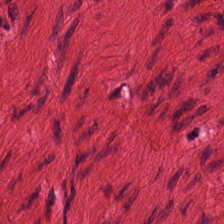This field is smooth-muscle tissue.
